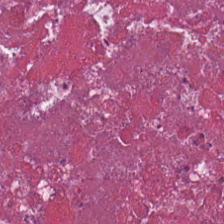H&E stain — Q: Classify this patch.
A: The field shows debris.
